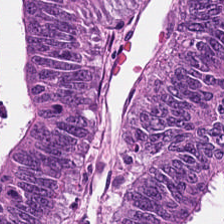Hematoxylin-and-eosin stained section · FFPE.
Q: What is shown in this field?
A: This is malignant epithelium.
